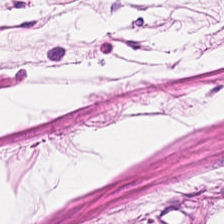Q: What is the predominant tissue type?
A: Smooth-muscle tissue.
